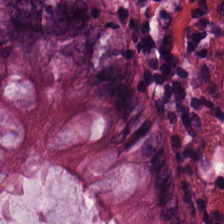Stain: H&E.
Tissue class: non-neoplastic colon mucosa.
